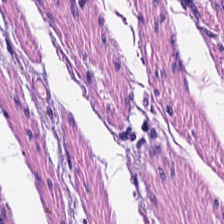Stain: hematoxylin and eosin.
Predominant tissue: muscularis.
